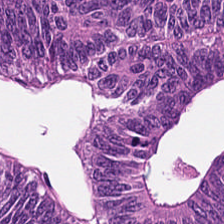Hematoxylin-and-eosin stained section; 224×224 px patch — Predominantly colorectal adenocarcinoma.
